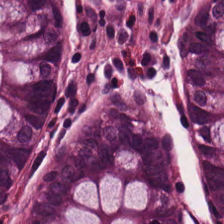224×224 px tile. Hematoxylin-and-eosin stained section — Classification = normal colon mucosa.
